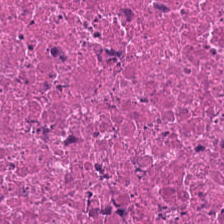Tissue: debris.
